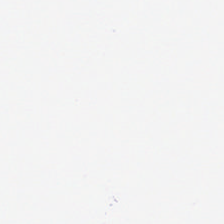H&E-stained tissue section. 224×224 px patch. This field is background (no tissue).
